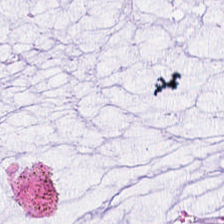Brightfield microscopy · hematoxylin-and-eosin stained section · formalin-fixed paraffin-embedded section. Tissue class = mucin.
